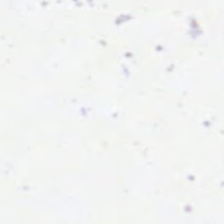FFPE · H&E-stained tissue section — Content — background.
